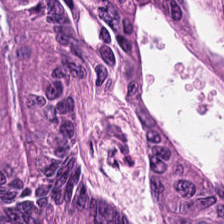H&E-stained tissue section. Q: What tissue type is shown here?
A: This is malignant epithelium.
